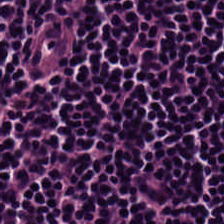Impression → lymphocytic infiltrate.
